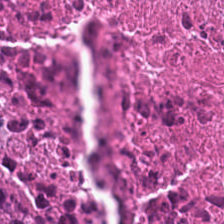H&E stain — Impression — debris.
